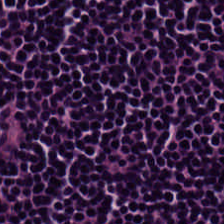Whole-slide-image patch. Hematoxylin and eosin. 224×224 px patch — Finding → lymphocytes.
